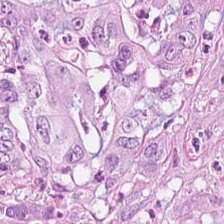H&E — Finding — malignant epithelium.
